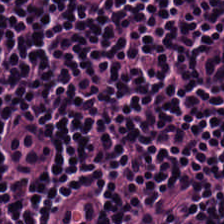224×224 pixel tile · H&E stain — {"tissue_type": "lymphocytic infiltrate"}
